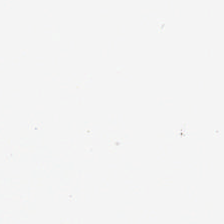H&E. 0.5 µm/px.
Q: What does this patch show?
A: It is no tissue.
